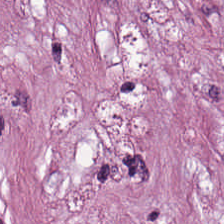H&E · 224×224 px patch.
Tissue class = cancer-associated stroma.
